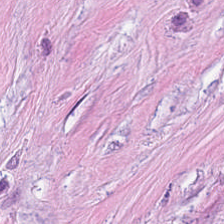Brightfield microscopy; 224×224 px tile; H&E. {"tissue_type": "desmoplastic stroma"}
